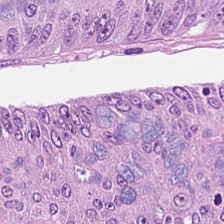Stain: hematoxylin-and-eosin stained section.
Tissue class: colorectal adenocarcinoma epithelium.
